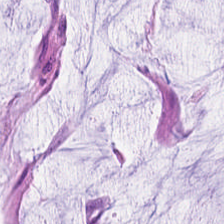Stain: hematoxylin and eosin.
Preparation: FFPE tissue section.
Tissue class: extracellular mucin.
